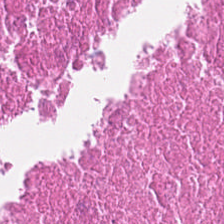Stain: H&E.
Classification: necrotic debris.
